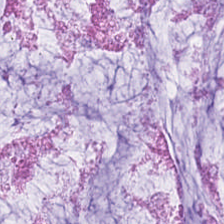Brightfield microscopy · H&E.
{"tissue_type": "extracellular mucin"}
